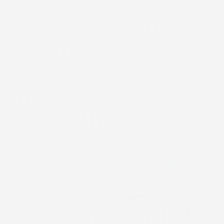H&E stain — Field content = background (no tissue).
